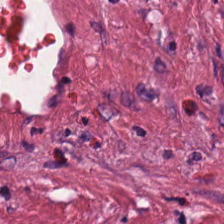Stain: hematoxylin-and-eosin stained section.
Tissue type: tumor stroma.
